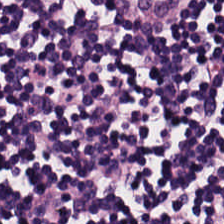Hematoxylin and eosin · 224×224 px patch.
Showing lymphocytes.
